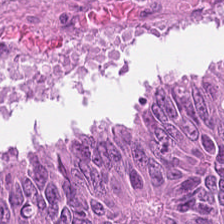Hematoxylin-and-eosin stained section — Showing tumor epithelium.
